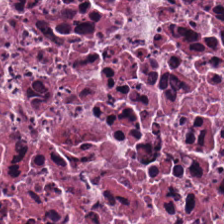20× equivalent magnification. H&E stain.
The tissue class is necrotic debris.
